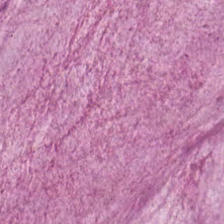224×224 px patch. Brightfield. Hematoxylin-and-eosin stained section. Tissue — mucin.
